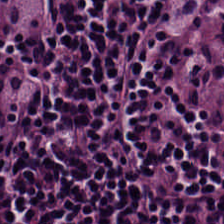Tissue type: lymphocyte aggregate.
